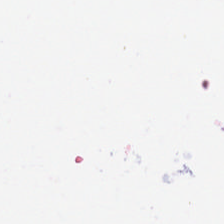H&E-stained tissue section. FFPE. Empty field — background (no tissue).
